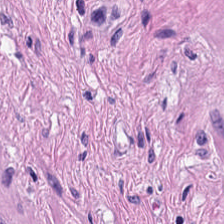20× equivalent magnification · hematoxylin-and-eosin stained section — Tissue — smooth muscle.
